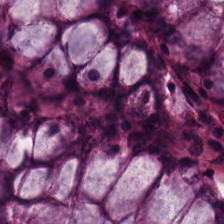H&E — Showing normal colonic mucosa.
